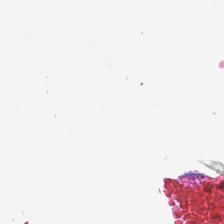Whole-slide-image patch; H&E. Empty field — empty background.
